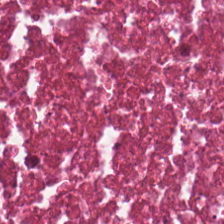Stain: H&E.
Tissue type: necrotic debris.
